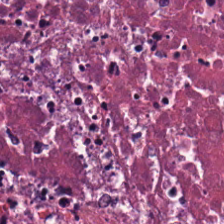224×224 px patch; hematoxylin and eosin.
The tissue here is debris.
